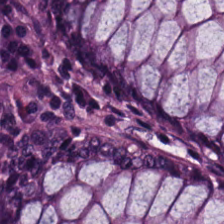Q: Classify this patch.
A: Normal colon mucosa.
